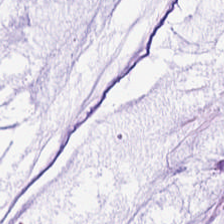Stain: H&E-stained tissue section.
Tissue type: extracellular mucin.
